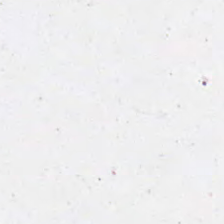Content: background.
